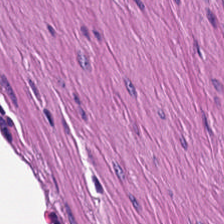Hematoxylin and eosin.
Predominant tissue = muscularis.
